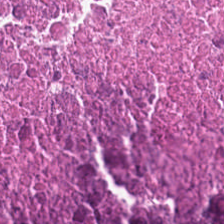Hematoxylin and eosin; 224×224 pixel tile — Predominant tissue: debris.
